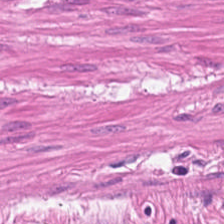H&E stain.
Classification = smooth-muscle tissue.
